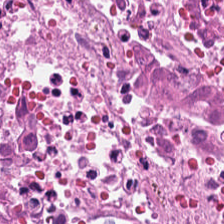H&E stain; FFPE. Q: Identify the tissue.
A: Cellular debris.
